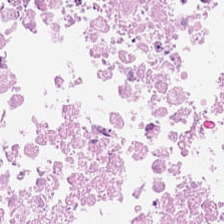H&E stain · 20× equivalent magnification — Tissue = debris.
